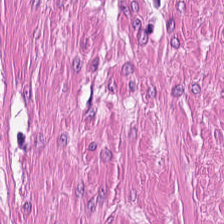H&E — smooth-muscle tissue.
